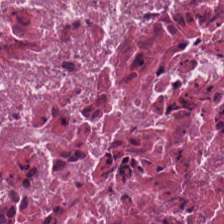This field is necrotic debris.
